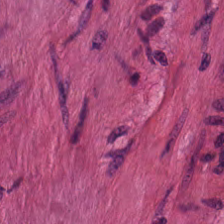Showing smooth-muscle tissue.
